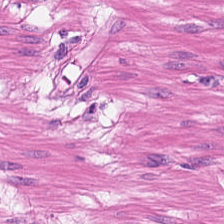Hematoxylin and eosin — Showing smooth muscle.
